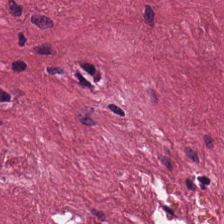Impression → tumor stroma.
